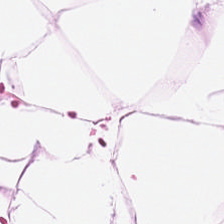H&E-stained tissue section; 0.5 microns per pixel.
Adipose.
